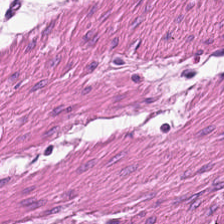Hematoxylin and eosin — Q: What tissue type is shown here?
A: Smooth-muscle tissue.
